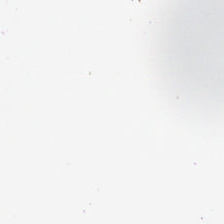Empty field — background (no tissue).
